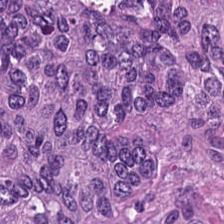Stain: hematoxylin-and-eosin stained section.
Tissue: adenocarcinoma.
